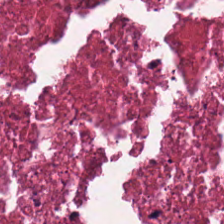H&E-stained tissue section — This patch shows debris.
